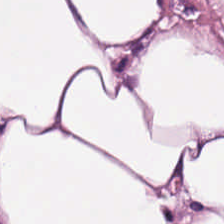224×224 pixel tile; H&E; FFPE — This patch shows adipocytes.
